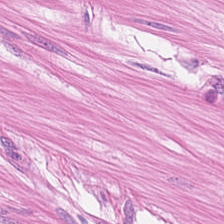H&E stain · WSI patch — The classification is muscularis.
